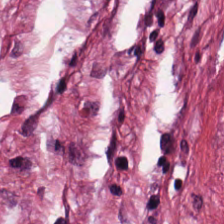Histology → cancer-associated stroma.
